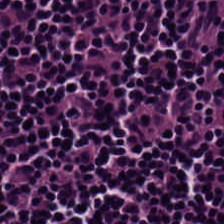H&E. The tissue type is lymphocytic infiltrate.
